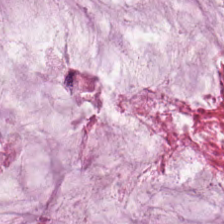Whole-slide-image patch · hematoxylin and eosin.
Extracellular mucin.
